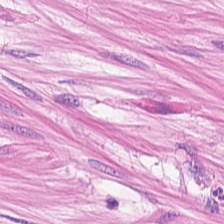{"tissue_type": "smooth muscle"}
